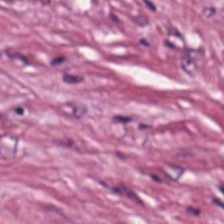Hematoxylin-and-eosin stained section; 0.5 µm per pixel; 224×224 pixel tile.
The predominant tissue is desmoplastic stroma.
